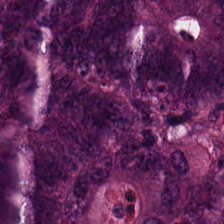Hematoxylin-and-eosin stained section; brightfield — Q: What is shown in this field?
A: The field shows tumor epithelium.
